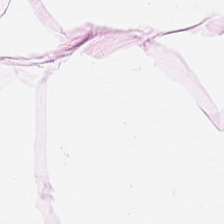Hematoxylin-and-eosin stained section. Histology — fat tissue.
